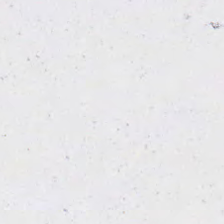Stain: hematoxylin-and-eosin stained section.
Preparation: FFPE.
Field content: background.
